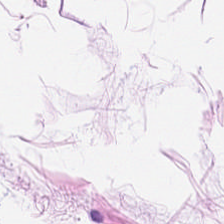H&E stain. 20× equivalent magnification. {"tissue_type": "adipocytes"}
